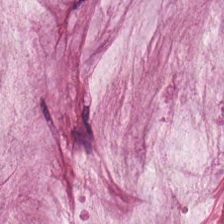FFPE; H&E-stained tissue section. Q: What tissue is shown?
A: Extracellular mucin.
